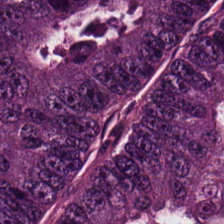H&E — {"tissue_type": "adenocarcinoma"}
